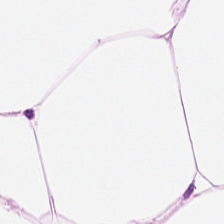H&E stain. The predominant tissue is fat tissue.
